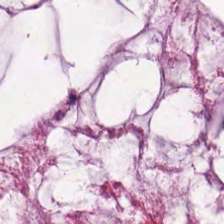H&E.
Q: Classify this patch.
A: The field shows mucin.
